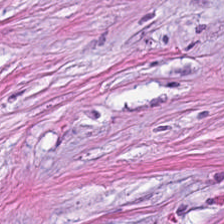H&E stain. The tissue here is tumor stroma.
